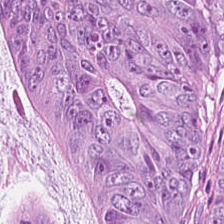H&E-stained section; the field shows colorectal adenocarcinoma epithelium.
